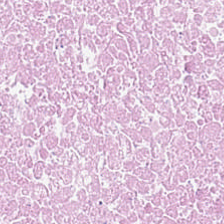The predominant tissue is debris.
